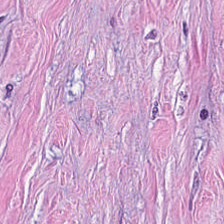H&E stain — The predominant tissue is cancer-associated stroma.
